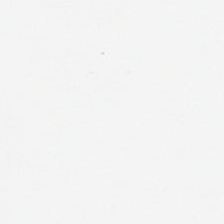Hematoxylin-and-eosin stained section — Background.
